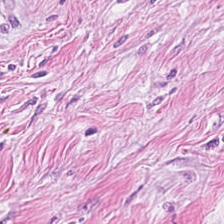Desmoplastic stroma.
